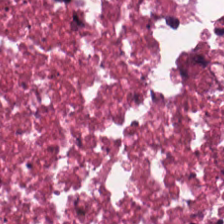Brightfield microscopy · H&E-stained tissue section.
Q: What is shown here?
A: It is cellular debris.
